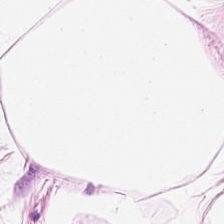H&E. Q: What is the predominant tissue type?
A: It is fat tissue.
